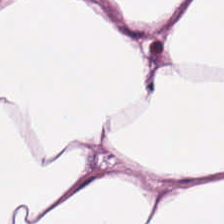Stain: hematoxylin and eosin.
Tissue class: adipose tissue.
